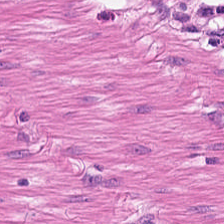Hematoxylin-and-eosin stained section; 0.5 µm/px; 224×224 px tile — The tissue here is smooth muscle.
